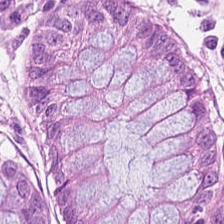Stain: H&E.
Tissue class: non-neoplastic colon mucosa.
